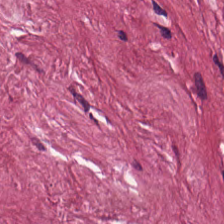Stain: H&E stain.
Preparation: FFPE.
Tissue: tumor-associated stroma.
